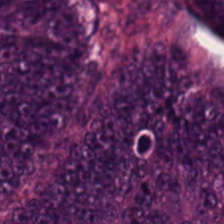Brightfield microscopy · H&E · 0.5 µm/px — Tissue = malignant epithelium.
